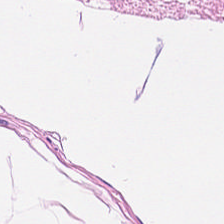Finding → smooth-muscle tissue.
